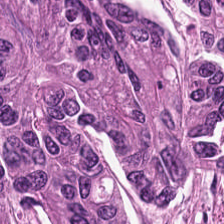0.5 microns per pixel · brightfield microscopy · hematoxylin and eosin. Q: What tissue type is shown here?
A: The field shows colorectal adenocarcinoma epithelium.
